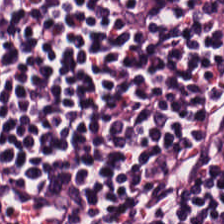H&E-stained tissue section. Whole-slide-image patch.
This field is lymphocyte aggregate.
